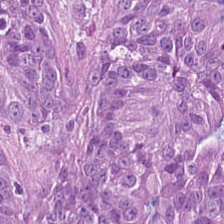H&E.
Q: What is shown in this field?
A: Adenocarcinoma.
